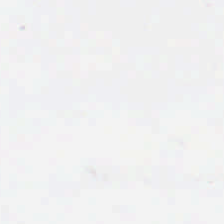224×224 px patch. Hematoxylin-and-eosin stained section — Q: What does this patch show?
A: This is background (no tissue).
